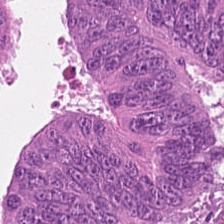Hematoxylin-and-eosin stained section. FFPE tissue section — Showing adenocarcinoma.
